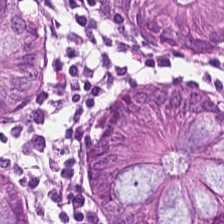Hematoxylin-and-eosin stained section · 224×224 px patch.
Q: What tissue is shown?
A: This is benign colonic mucosa.
